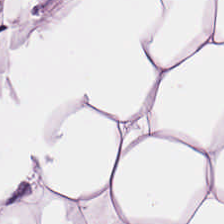Hematoxylin and eosin.
Predominant tissue = fat tissue.
